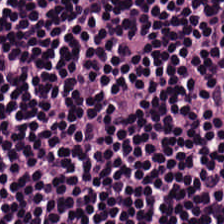H&E patch showing lymphoid infiltrate.
